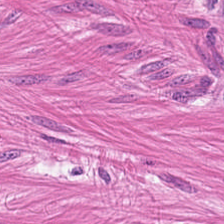H&E · 224×224 px tile.
Impression → muscularis.
